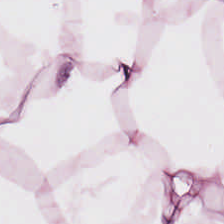H&E.
Q: What tissue is shown?
A: The field shows adipocytes.
